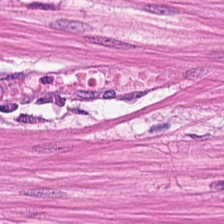H&E-stained tissue section.
Showing muscularis.
